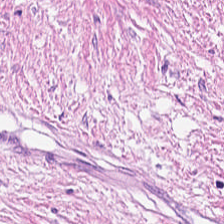Hematoxylin and eosin · brightfield · 224×224 px tile — Tissue type = desmoplastic stroma.
